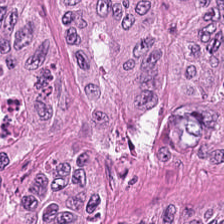224×224 px tile; FFPE; H&E.
Predominant tissue = colorectal adenocarcinoma.
